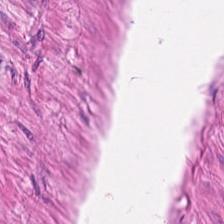Stain: hematoxylin and eosin.
Preparation: FFPE.
Tissue type: smooth-muscle tissue.
